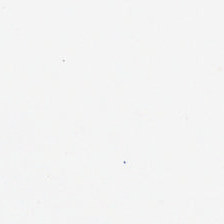Stain: H&E stain.
Resolution: 0.5 µm per pixel.
Tile size: 224×224 pixel tile.
Content: empty background.
